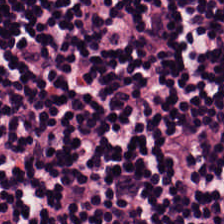H&E — lymphocytes.
